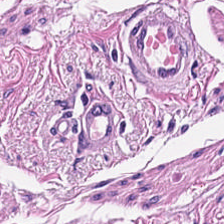H&E-stained section; the field shows smooth-muscle tissue.
